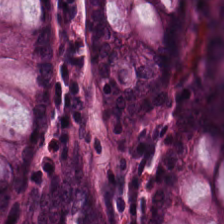Hematoxylin and eosin. Normal colon mucosa.
